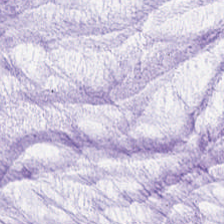Hematoxylin and eosin. Mucus.
